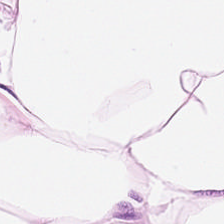Stain: H&E-stained tissue section.
Resolution: 0.5 µm/px.
Tissue: adipocytes.
